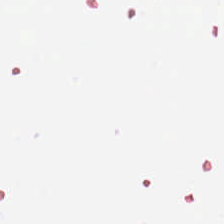H&E; brightfield — Q: What is shown here?
A: This is empty background.
